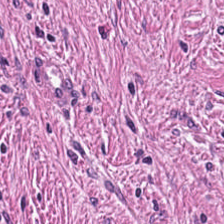0.5 microns per pixel. Hematoxylin-and-eosin stained section.
The tissue class is desmoplastic stroma.
